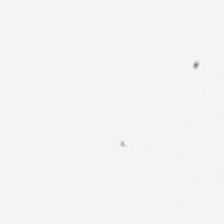Hematoxylin and eosin — Classification — background (no tissue).
